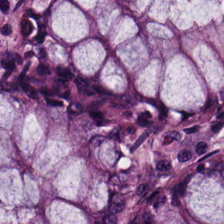H&E-stained tissue section.
Q: What is shown here?
A: It is non-neoplastic colon mucosa.
